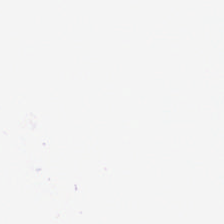{"content": "background"}
